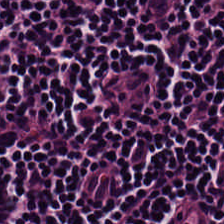Hematoxylin and eosin.
Impression → lymphocytes.
